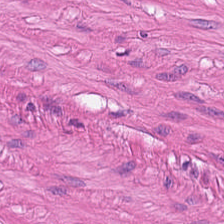Formalin-fixed paraffin-embedded section; H&E stain — Classification: smooth-muscle tissue.
